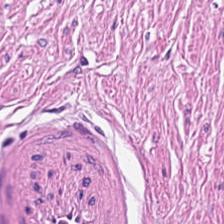H&E; 224×224 px tile; 0.5 µm per pixel — Impression → smooth-muscle tissue.
